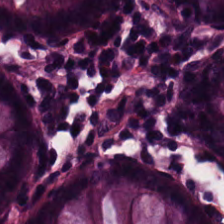The tissue here is benign colonic mucosa.
